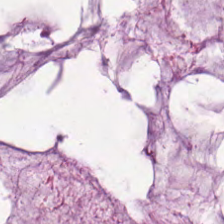Stain: hematoxylin-and-eosin stained section.
Tissue type: mucus.
